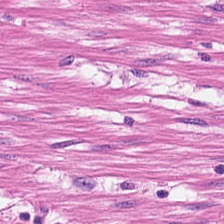Hematoxylin-and-eosin stained section — {"tissue_type": "smooth-muscle tissue"}
